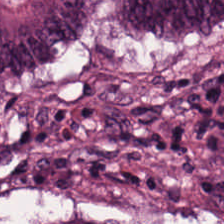H&E; 0.5 µm per pixel; FFPE — Tissue type — colorectal adenocarcinoma epithelium.
